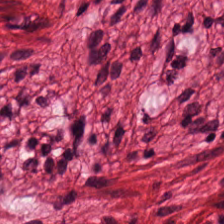Tissue type = muscularis.
